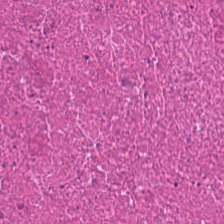Hematoxylin and eosin. 0.5 µm/px. The predominant tissue is necrotic debris.
